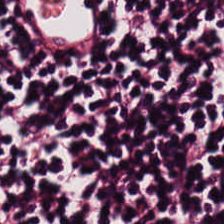Formalin-fixed paraffin-embedded section · hematoxylin-and-eosin stained section. Q: What tissue is shown?
A: It is lymphocytic infiltrate.
